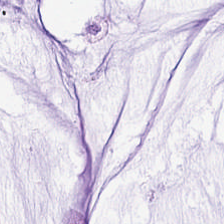Stain: hematoxylin and eosin.
Classification: mucin.
